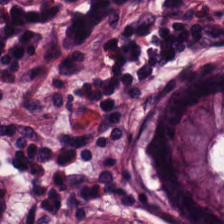H&E — Predominantly normal colonic mucosa.
